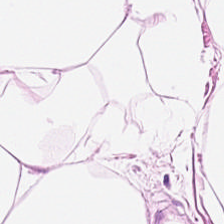Hematoxylin and eosin.
Q: What tissue type is shown here?
A: It is fat tissue.
